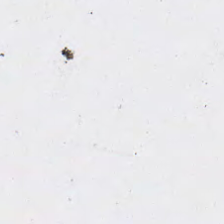Content — no tissue.
